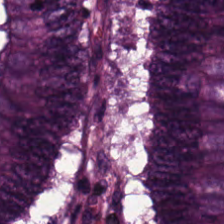224×224 px patch · hematoxylin and eosin.
The predominant tissue is tumor epithelium.
